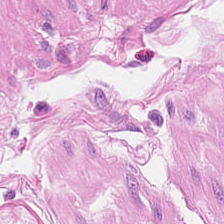Hematoxylin and eosin — Q: What is the predominant tissue type?
A: It is smooth-muscle tissue.
